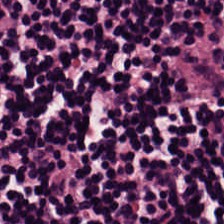{"tissue_type": "lymphocytes"}
